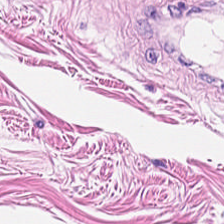Hematoxylin-and-eosin stained section.
Predominantly smooth-muscle tissue.
